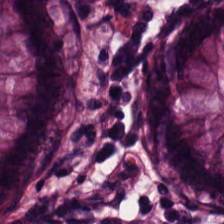Stain: hematoxylin and eosin.
Tissue type: non-neoplastic colon mucosa.
